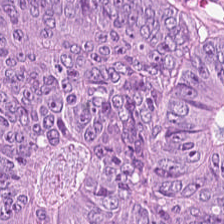WSI patch; 224×224 px patch; H&E — The predominant tissue is tumor epithelium.
